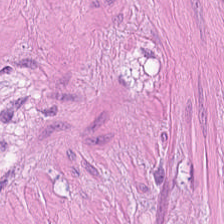H&E-stained tissue section. 0.5 microns per pixel.
Tissue — smooth-muscle tissue.
